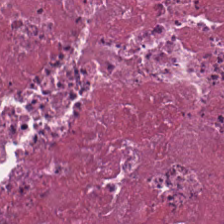H&E stain. Q: What is the predominant tissue type?
A: It is debris.
